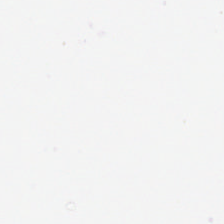224×224 pixel tile · hematoxylin-and-eosin stained section — {"content": "background"}
